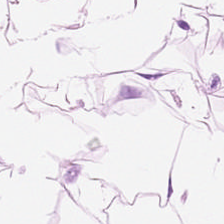0.5 µm/px; H&E; brightfield microscopy. Predominantly adipose.
